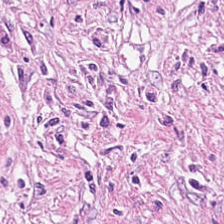H&E stain. The tissue class is tumor stroma.
